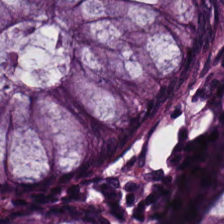H&E stain. Impression — benign colonic mucosa.
